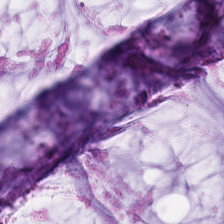FFPE tissue section; 224×224 pixel tile; H&E. Extracellular mucin.
